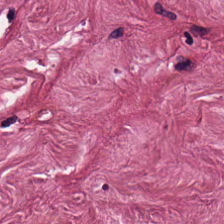H&E-stained tissue section. 0.5 µm per pixel. Q: What is shown in this field?
A: The field shows cancer-associated stroma.
